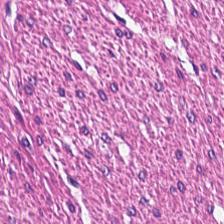Hematoxylin-and-eosin stained section. Classification — muscularis.
